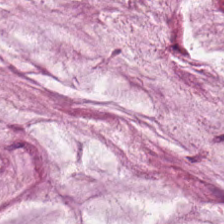Predominant tissue — extracellular mucin.
